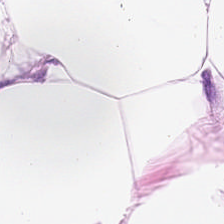Q: What is the predominant tissue type?
A: Adipose tissue.
